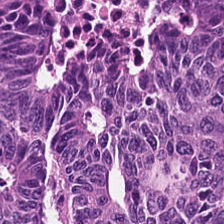224×224 pixel tile · H&E stain — Tissue type: colorectal adenocarcinoma.
